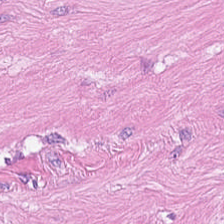0.5 µm/px · hematoxylin-and-eosin stained section. Showing smooth-muscle tissue.
